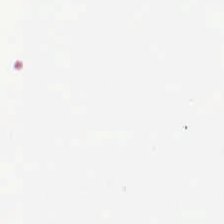Q: What is shown here?
A: It is empty background.
